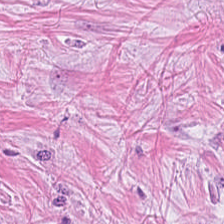Hematoxylin-and-eosin stained section.
Tissue class: tumor stroma.
